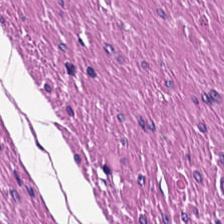Hematoxylin and eosin · WSI patch — Smooth-muscle tissue.
